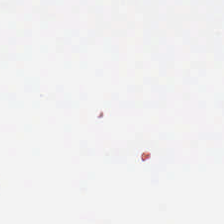Hematoxylin and eosin · 0.5 microns per pixel.
Histology — no tissue.
